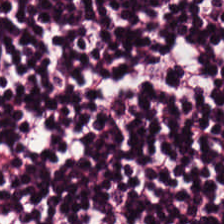Stain: H&E-stained tissue section.
Tile size: 224×224 px tile.
Preparation: formalin-fixed paraffin-embedded section.
Tissue type: lymphocytic infiltrate.
